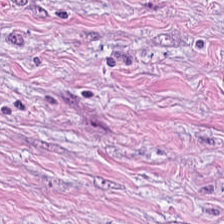H&E stain. Predominant tissue — cancer-associated stroma.
